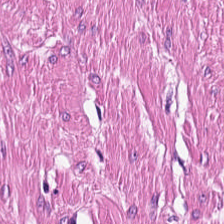Hematoxylin-and-eosin stained section. 224×224 pixel tile. Q: What tissue is shown?
A: Smooth-muscle tissue.
